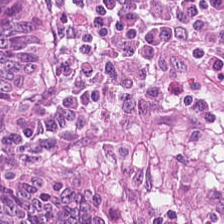FFPE; H&E; 224×224 px patch.
Predominantly colorectal adenocarcinoma epithelium.
